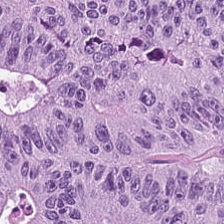Stain: hematoxylin-and-eosin stained section.
Tissue: colorectal adenocarcinoma.
